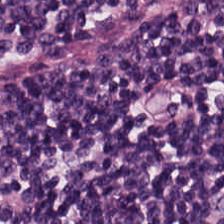Brightfield microscopy; FFPE; H&E-stained tissue section — This patch shows lymphocyte aggregate.
